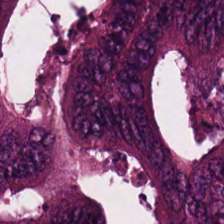Hematoxylin-and-eosin stained section. Predominant tissue: tumor epithelium.
